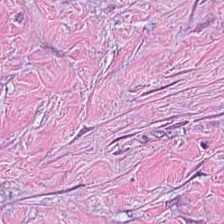H&E stain.
This field is cancer-associated stroma.
